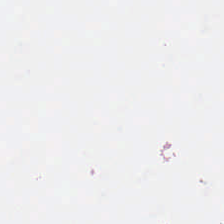224×224 pixel tile; hematoxylin and eosin. Empty field — background (no tissue).
